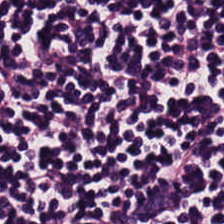H&E stain. Brightfield microscopy.
Q: What does this patch show?
A: This is lymphocytes.
